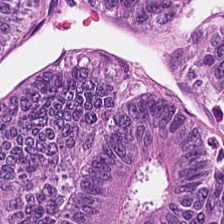Hematoxylin-and-eosin stained section; 224×224 px tile; 0.5 microns per pixel.
Predominantly colorectal adenocarcinoma epithelium.
